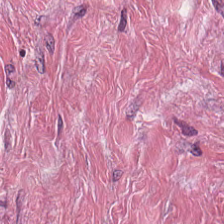224×224 px tile · H&E · brightfield microscopy — Predominantly cancer-associated stroma.
